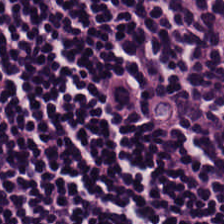Stain: hematoxylin-and-eosin stained section.
Tile size: 224×224 pixel tile.
Acquisition: brightfield microscopy.
Tissue class: lymphocytic infiltrate.
